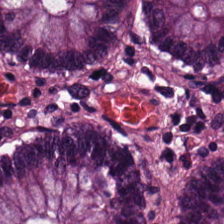Stain: H&E.
Tissue type: non-neoplastic colon mucosa.
